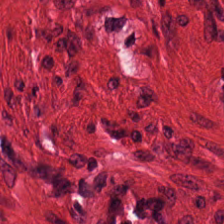Stain: H&E stain.
Tissue class: smooth-muscle tissue.
